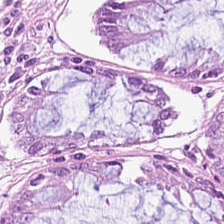Brightfield. H&E-stained tissue section. This patch shows benign colonic mucosa.
